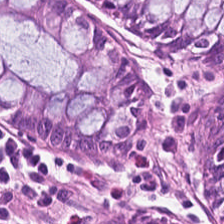Hematoxylin and eosin — Finding — normal colon mucosa.
